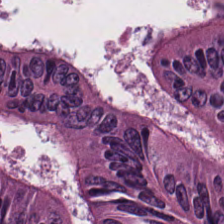Tissue = colorectal adenocarcinoma.
